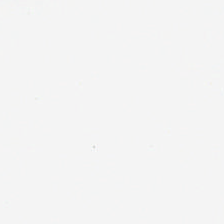H&E stain.
Q: What is shown here?
A: The field shows no tissue.
